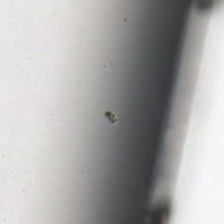FFPE · WSI patch · hematoxylin-and-eosin stained section — No tissue present; background only.
